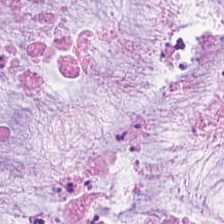H&E-stained tissue section — Mucin.
